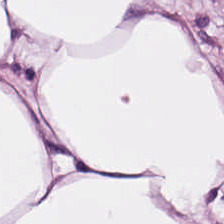H&E stain — Tissue type — adipocytes.
